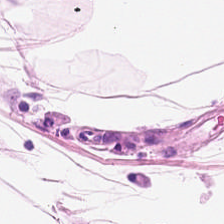Q: Identify the tissue.
A: This is adipose tissue.
